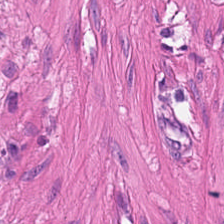Tissue = muscularis.
